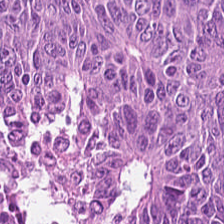Hematoxylin and eosin — Tissue class = colorectal adenocarcinoma epithelium.
